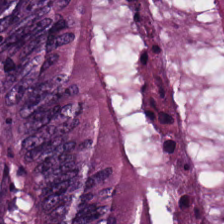The classification is tumor epithelium.
